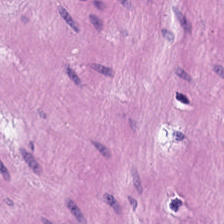224×224 px tile · hematoxylin and eosin — Showing smooth muscle.
